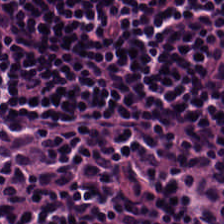Hematoxylin and eosin. Classification — lymphocyte aggregate.
